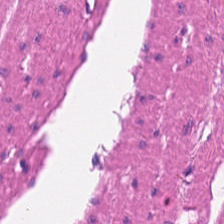Hematoxylin and eosin — This field is smooth muscle.
